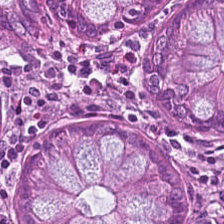The tissue type is normal colon mucosa.
